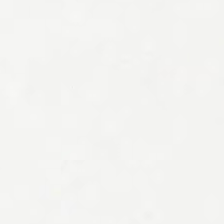Q: Classify this patch.
A: It is background (no tissue).
